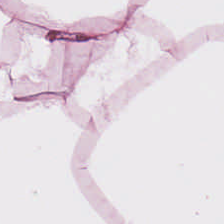0.5 µm/px; H&E-stained tissue section; FFPE tissue section. Q: What is shown in this field?
A: The field shows adipose tissue.
